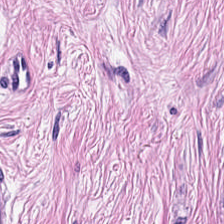Predominant tissue: tumor-associated stroma.
